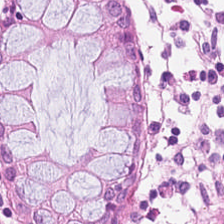H&E. Showing normal colon mucosa.
